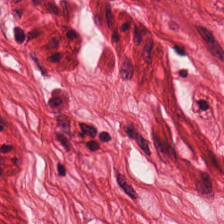H&E. Predominant tissue: smooth-muscle tissue.
